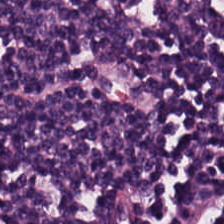The tissue type is lymphoid infiltrate.
